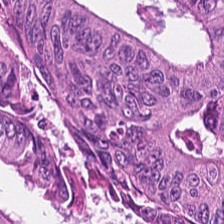Stain: H&E stain.
Tissue: tumor epithelium.
